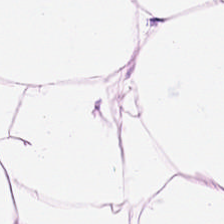Stain: hematoxylin and eosin.
Tissue type: adipose tissue.
